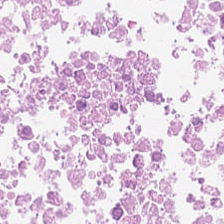Hematoxylin-and-eosin stained section — This field is debris.
